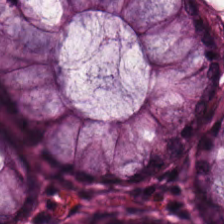H&E-stained tissue section.
The predominant tissue is normal colon mucosa.
